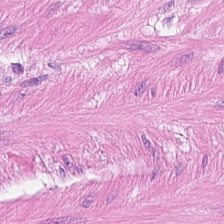Hematoxylin-and-eosin section: muscularis.
